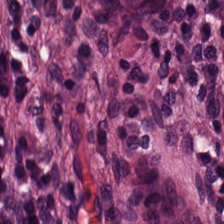H&E — benign colonic mucosa.
